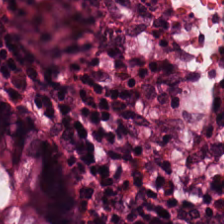Hematoxylin and eosin — Histology → benign colonic mucosa.
